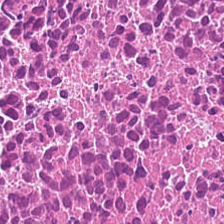H&E-stained tissue section · 224×224 px tile — Q: What tissue type is shown here?
A: It is necrotic debris.
